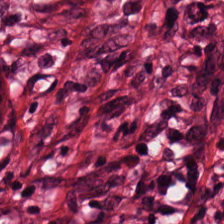Stain: H&E-stained tissue section.
Preparation: FFPE.
Resolution: 20× equivalent magnification.
Tissue type: cancer-associated stroma.
